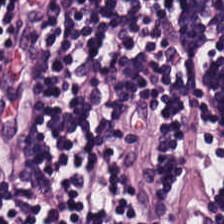0.5 µm per pixel; hematoxylin and eosin.
Showing lymphocytes.
